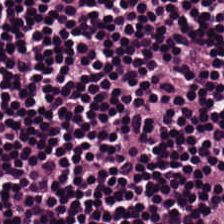The tissue is lymphocytic infiltrate.
